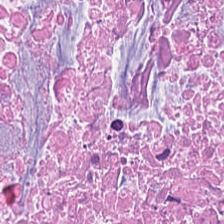H&E — cellular debris.
